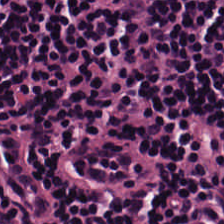0.5 µm per pixel. Brightfield microscopy. H&E stain. Q: What is shown here?
A: Lymphocyte aggregate.
